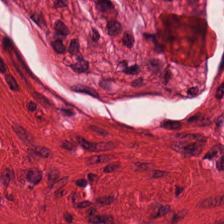Formalin-fixed paraffin-embedded section. H&E. 224×224 px tile. Impression → muscularis.
